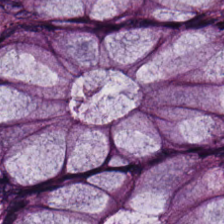224×224 px patch; H&E — Normal colon mucosa.
